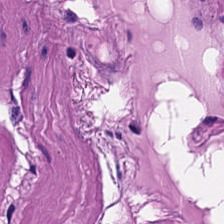FFPE tissue section; H&E-stained tissue section. This patch shows smooth muscle.
